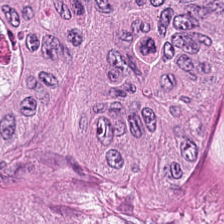H&E patch showing colorectal adenocarcinoma.
